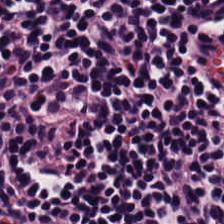H&E stain · FFPE — Q: Classify this patch.
A: It is lymphoid infiltrate.
